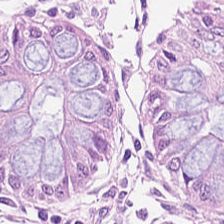Q: Identify the tissue.
A: Normal colonic mucosa.
